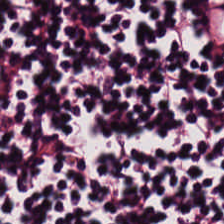Tissue class — lymphocytic infiltrate.
